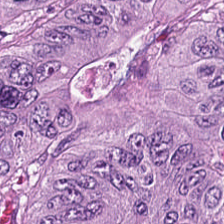FFPE. Whole-slide-image patch. Hematoxylin-and-eosin stained section. The tissue is malignant epithelium.
